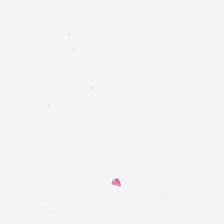Classification: no tissue.
